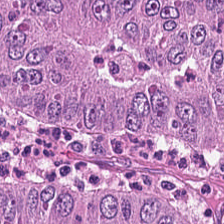H&E stain · 0.5 µm/px · 224×224 px tile.
Tissue class = malignant epithelium.
